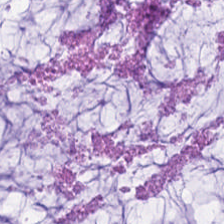H&E-stained tissue section.
The predominant tissue is mucus.
